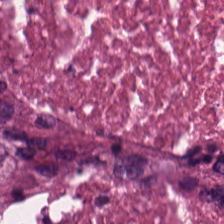Predominant tissue: necrotic debris.
